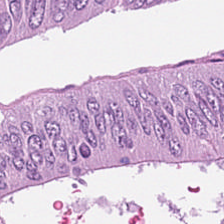Predominant tissue — tumor epithelium.
